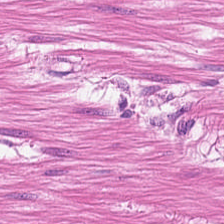H&E-stained tissue section — Q: Identify the tissue.
A: It is smooth muscle.
